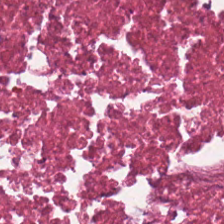H&E-stained tissue section. Classification = debris.
